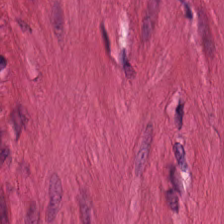Hematoxylin-and-eosin stained section.
Histology → muscularis.
